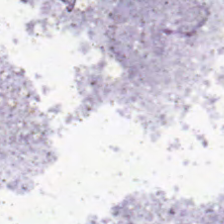Background — no tissue in this field.
